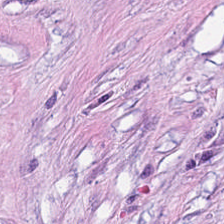Whole-slide-image patch · FFPE tissue section · H&E stain. Q: What does this patch show?
A: This is tumor stroma.
